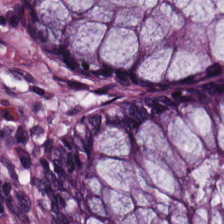Hematoxylin-and-eosin stained section. The predominant tissue is benign colonic mucosa.
